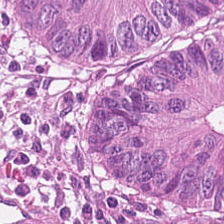H&E stain.
Tissue type — tumor epithelium.
